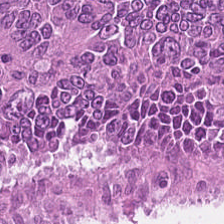Stain: hematoxylin and eosin.
Predominant tissue: tumor epithelium.
